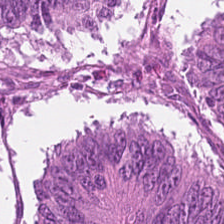The tissue type is colorectal adenocarcinoma epithelium.
